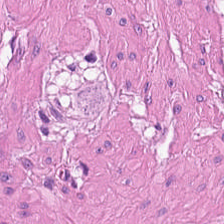Hematoxylin and eosin — This patch shows muscularis.
